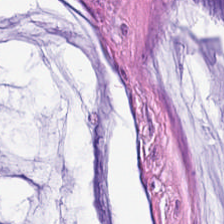Brightfield microscopy · hematoxylin-and-eosin stained section — Mucus.
